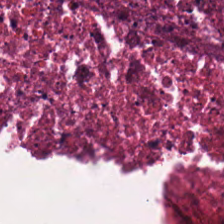Brightfield · hematoxylin and eosin.
Q: What is shown here?
A: This is necrotic debris.
